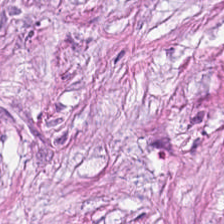Hematoxylin-and-eosin stained section — Q: What tissue type is shown here?
A: The field shows tumor stroma.
